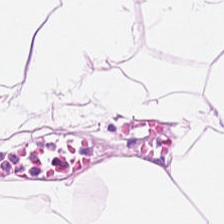Stain: hematoxylin-and-eosin stained section.
Classification: adipose.
